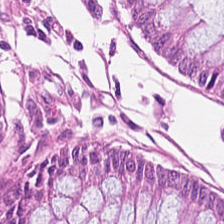H&E stain — The tissue here is normal colonic mucosa.
